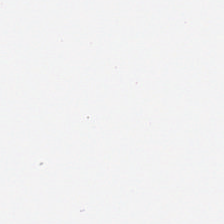H&E-stained tissue section. Q: Classify this patch.
A: This is background (no tissue).
